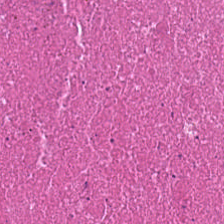Tissue — necrotic debris.
